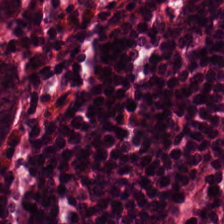Stain: H&E.
Tissue: non-neoplastic colon mucosa.
